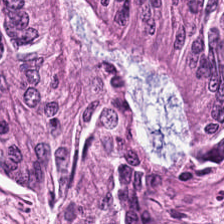Hematoxylin and eosin.
The tissue here is tumor epithelium.
